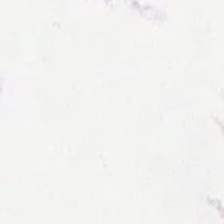224×224 px patch. Formalin-fixed paraffin-embedded section. H&E-stained tissue section — This field is background (no tissue).
